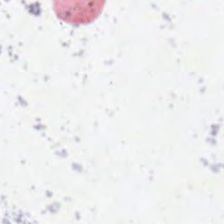224×224 pixel tile; hematoxylin-and-eosin stained section. Content: no tissue.
